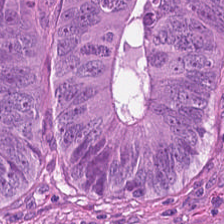Formalin-fixed paraffin-embedded section. Hematoxylin-and-eosin stained section. 224×224 px patch — Tissue type: colorectal adenocarcinoma epithelium.
